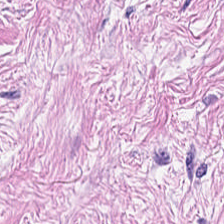Hematoxylin-and-eosin stained section — Q: Identify the tissue.
A: The field shows tumor stroma.
